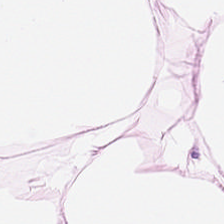Finding — adipose tissue.
